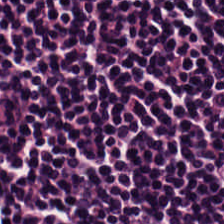Hematoxylin-and-eosin stained section — Tissue class: lymphocyte aggregate.
